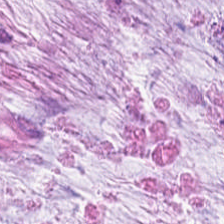Tissue — mucin.
